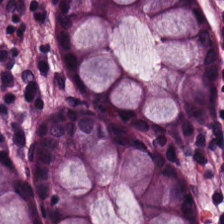0.5 µm per pixel · H&E stain. Q: What is the predominant tissue type?
A: Benign colonic mucosa.
